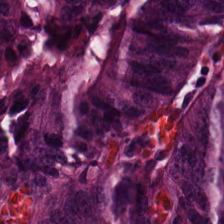H&E.
The predominant tissue is colorectal adenocarcinoma epithelium.
